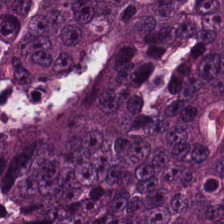Brightfield microscopy; hematoxylin-and-eosin stained section. Q: What tissue is shown?
A: This is tumor epithelium.
